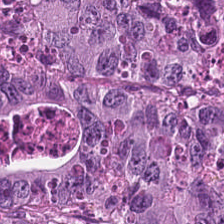Hematoxylin-and-eosin stained section.
This patch shows colorectal adenocarcinoma.
